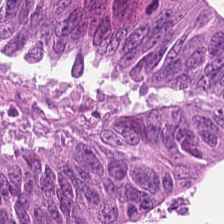H&E stain — Classification: tumor epithelium.
